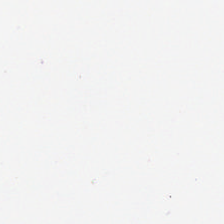Content: background (no tissue).
